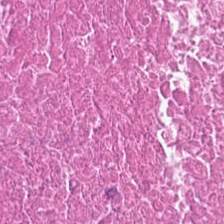Hematoxylin and eosin. Tissue = debris.
